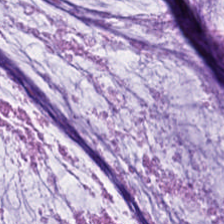Q: What tissue is shown?
A: Extracellular mucin.
